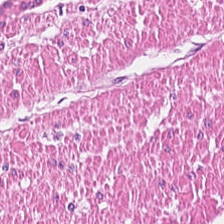H&E stain.
Predominantly muscularis.
